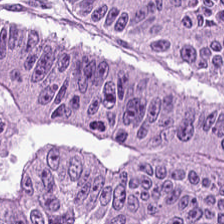H&E; 224×224 pixel tile.
Colorectal adenocarcinoma.
